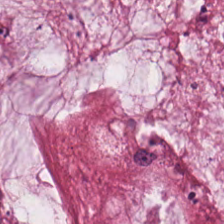224×224 px tile; hematoxylin and eosin — Tissue class = mucus.
